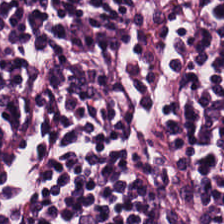Hematoxylin and eosin. The predominant tissue is lymphocyte aggregate.
